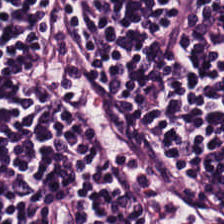Hematoxylin and eosin; 224×224 px patch — The tissue is lymphocytic infiltrate.
